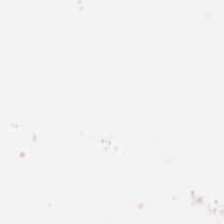H&E.
Background — no tissue in this field.
